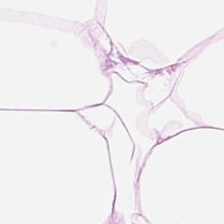Tissue class — adipose.
